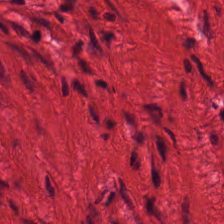Hematoxylin and eosin; formalin-fixed paraffin-embedded section.
Classification = muscularis.
